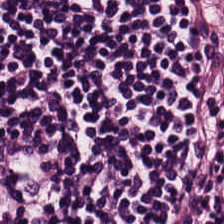H&E; 0.5 µm/px — Impression → lymphocyte aggregate.
